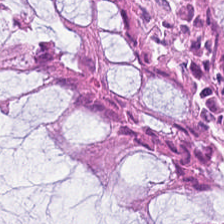Predominant tissue — benign colonic mucosa.
